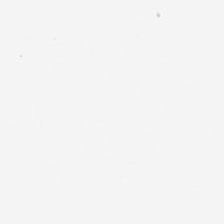Background — no tissue in this field.
